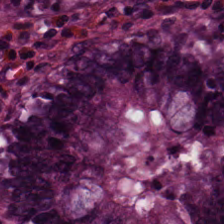Hematoxylin-and-eosin stained section — Tissue — normal colonic mucosa.
